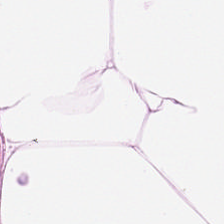Formalin-fixed paraffin-embedded section. H&E-stained tissue section — Q: What is shown here?
A: This is adipose.
